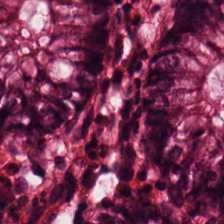FFPE tissue section; H&E stain — Showing non-neoplastic colon mucosa.
